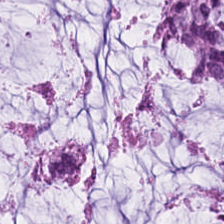Hematoxylin-and-eosin stained section. Mucin.
